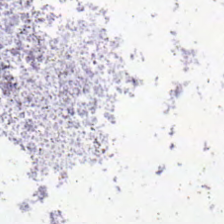H&E-stained tissue section. Content = background (no tissue).
